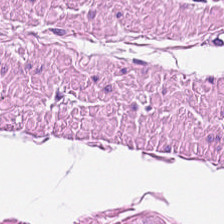Hematoxylin and eosin — Tissue type — smooth muscle.
